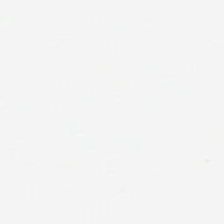Hematoxylin-and-eosin stained section.
This field is background (no tissue).
